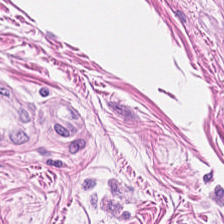H&E stain · 0.5 µm/px.
Q: What tissue is shown?
A: It is smooth muscle.
